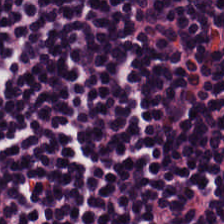Q: What is shown here?
A: The field shows lymphoid infiltrate.
